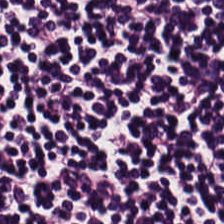Stain: H&E.
Tissue type: lymphocytes.
